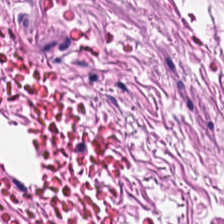H&E stain — The predominant tissue is muscularis.
